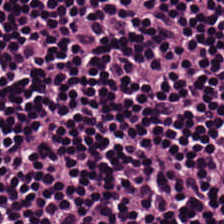Hematoxylin and eosin. Formalin-fixed paraffin-embedded section.
Predominant tissue = lymphocytes.
